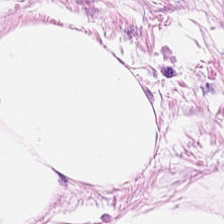FFPE · hematoxylin and eosin. Histology → fat tissue.
